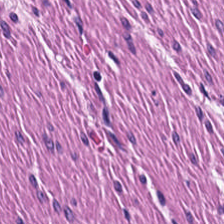Smooth-muscle tissue.
